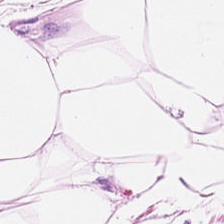Hematoxylin and eosin; 224×224 px patch; 20× equivalent magnification. This field is adipose tissue.
